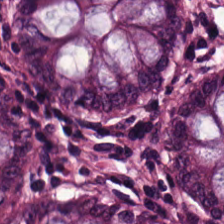224×224 pixel tile; H&E-stained tissue section; brightfield — Histology → non-neoplastic colon mucosa.
